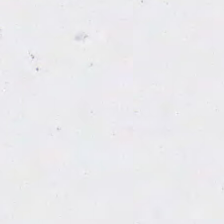WSI patch · hematoxylin-and-eosin stained section. Q: What is shown here?
A: The field shows no tissue.
